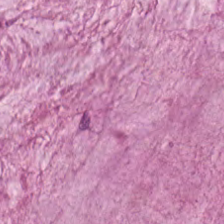0.5 microns per pixel; H&E.
Tissue = mucus.
